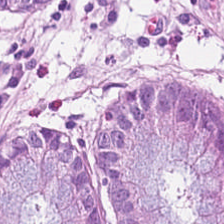H&E-stained tissue section. The tissue here is normal colon mucosa.
